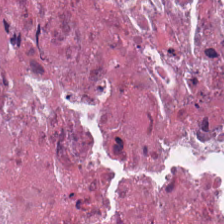{"tissue_type": "debris"}
